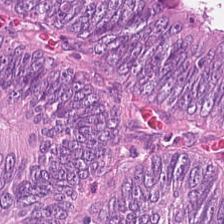Q: What tissue type is shown here?
A: It is tumor epithelium.
